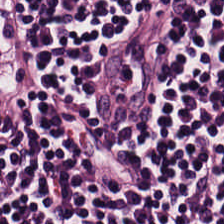Hematoxylin-and-eosin stained section — This patch shows lymphocytes.
